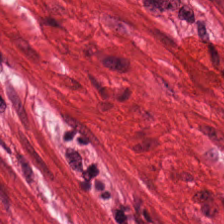Stain: hematoxylin and eosin.
Predominant tissue: smooth-muscle tissue.
